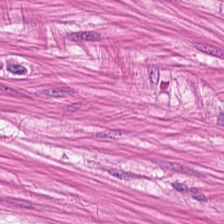Brightfield microscopy; H&E stain; 224×224 px tile.
Predominant tissue = smooth muscle.
